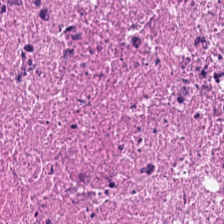Hematoxylin-and-eosin stained section.
Tissue: debris.
